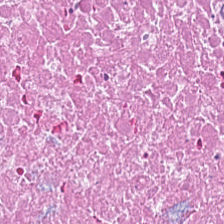Stain: H&E.
Predominant tissue: debris.
